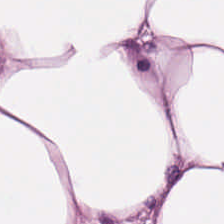Formalin-fixed paraffin-embedded section. Hematoxylin-and-eosin stained section — This field is adipose tissue.
